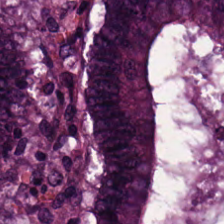224×224 px tile · H&E. Tissue type = colorectal adenocarcinoma.
